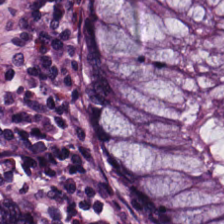H&E. Classification: normal colonic mucosa.
